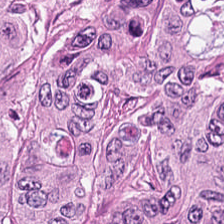20× equivalent magnification · hematoxylin and eosin.
This field is adenocarcinoma.
